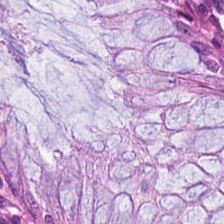Hematoxylin and eosin; FFPE tissue section. Histology — normal colonic mucosa.
